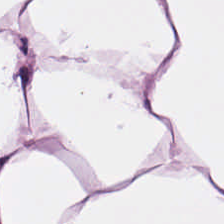H&E. Formalin-fixed paraffin-embedded section.
Q: What does this patch show?
A: The field shows adipose.
